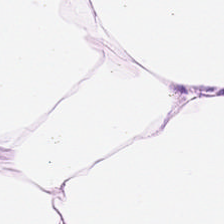0.5 microns per pixel; FFPE; H&E-stained tissue section — This patch shows fat tissue.
